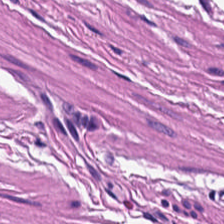Hematoxylin and eosin. The tissue here is smooth muscle.
